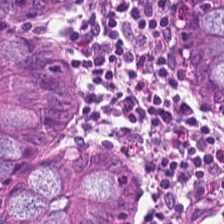H&E-stained tissue section.
Tissue class = benign colonic mucosa.
